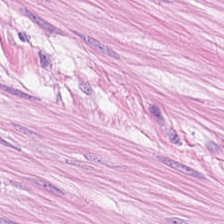H&E stain — Muscularis.
